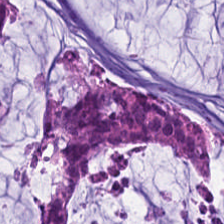Stain: H&E stain.
Acquisition: brightfield.
Tissue class: mucin.
